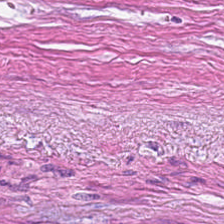H&E; formalin-fixed paraffin-embedded section. The predominant tissue is desmoplastic stroma.
